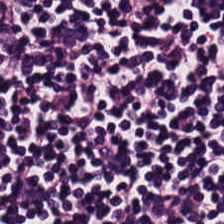Stain: hematoxylin and eosin.
Classification: lymphoid infiltrate.
